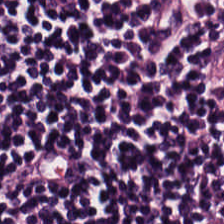H&E. Brightfield microscopy.
Predominantly lymphoid infiltrate.
